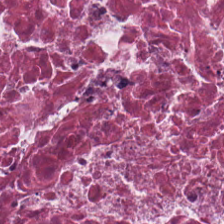Stain: H&E-stained tissue section.
Preparation: FFPE tissue section.
Predominant tissue: cellular debris.
